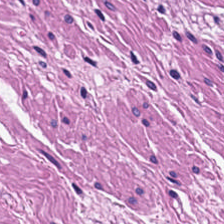Showing smooth-muscle tissue.
